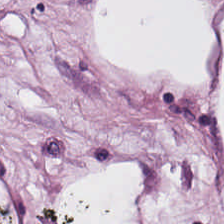Hematoxylin-and-eosin stained section.
Showing adipocytes.
